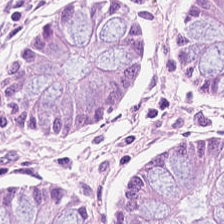Whole-slide-image patch; H&E stain — Histology → non-neoplastic colon mucosa.
